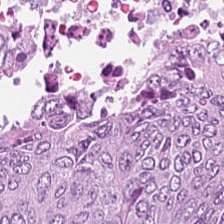Stain: hematoxylin-and-eosin stained section.
Classification: malignant epithelium.
